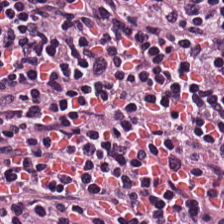H&E-stained tissue section · 0.5 µm per pixel.
The predominant tissue is lymphoid infiltrate.
